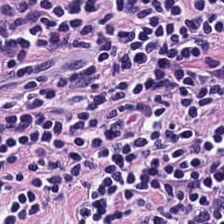Finding — lymphoid infiltrate.
